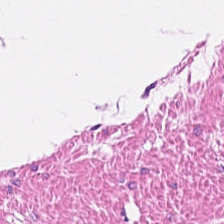Predominantly smooth-muscle tissue.
